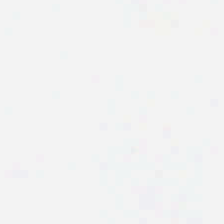Field content: empty background.
